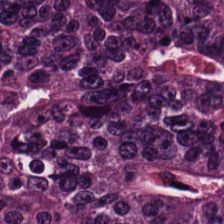Hematoxylin and eosin.
The predominant tissue is adenocarcinoma.
